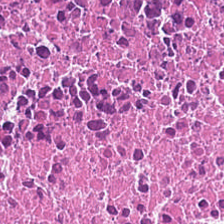Hematoxylin and eosin — Q: What tissue is shown?
A: Necrotic debris.
